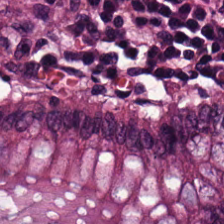The classification is normal colonic mucosa.
